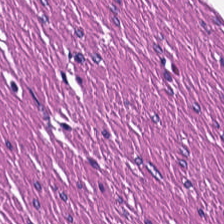Stain: hematoxylin-and-eosin stained section.
Tissue: smooth muscle.
